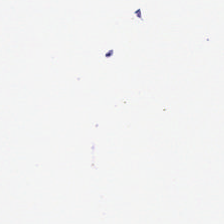Hematoxylin and eosin · FFPE tissue section · WSI patch — {"content": "background (no tissue)"}
